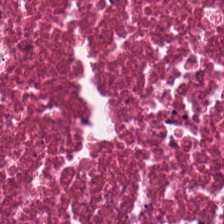Tissue class — necrotic debris.
